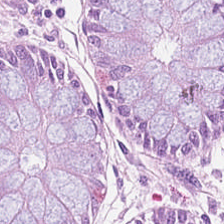Hematoxylin-and-eosin section: non-neoplastic colon mucosa.
